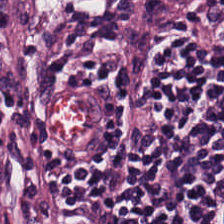Hematoxylin and eosin · FFPE.
Predominantly lymphocyte aggregate.
